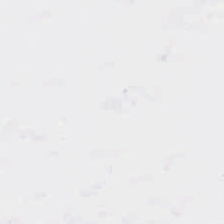224×224 px patch; H&E-stained tissue section.
No tissue present; background only.
